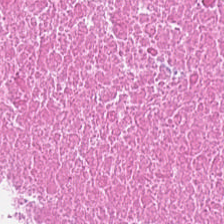Hematoxylin-and-eosin section: necrotic debris.
